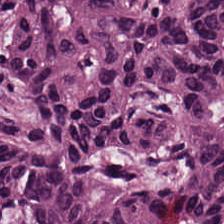Brightfield; 0.5 microns per pixel; H&E-stained tissue section — Q: What is the predominant tissue type?
A: This is tumor epithelium.
